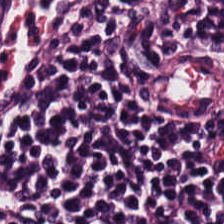Hematoxylin and eosin; 0.5 µm per pixel — {"tissue_type": "lymphocytes"}
